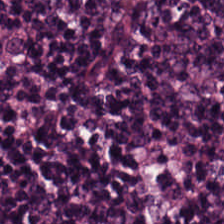Predominantly lymphocytic infiltrate.
